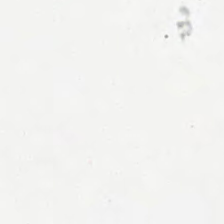Formalin-fixed paraffin-embedded section. H&E.
Classification = empty background.
